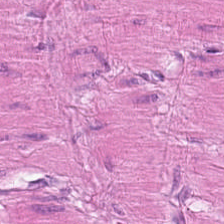H&E — Smooth-muscle tissue.
